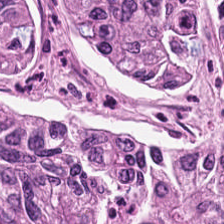Brightfield microscopy; H&E stain.
The tissue type is adenocarcinoma.
